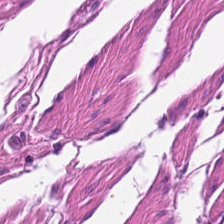The tissue class is smooth-muscle tissue.
